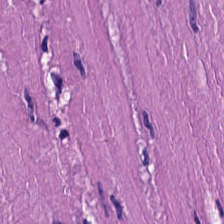FFPE; H&E stain — Q: What is the predominant tissue type?
A: This is smooth muscle.
